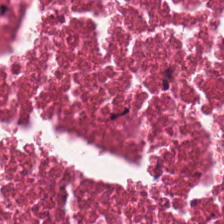Stain: H&E.
Tissue: debris.
